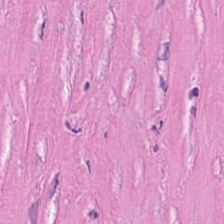224×224 px patch · hematoxylin and eosin · 20× equivalent magnification — Tissue type = cancer-associated stroma.
